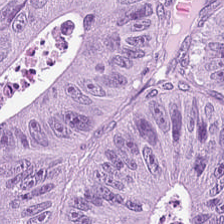Stain: H&E stain.
Resolution: 20× equivalent magnification.
Predominant tissue: adenocarcinoma.
